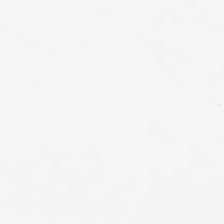Hematoxylin-and-eosin stained section.
The classification is no tissue.
